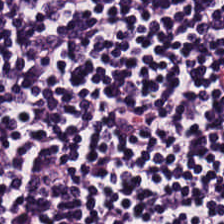Hematoxylin and eosin · 224×224 pixel tile · formalin-fixed paraffin-embedded section.
Tissue class — lymphocytic infiltrate.
